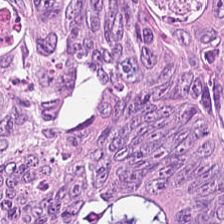Whole-slide-image patch; formalin-fixed paraffin-embedded section; hematoxylin and eosin — This patch shows tumor epithelium.
